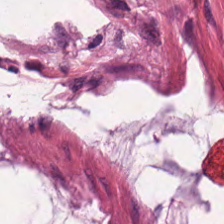Stain: H&E.
Resolution: 0.5 microns per pixel.
Tissue type: extracellular mucin.
